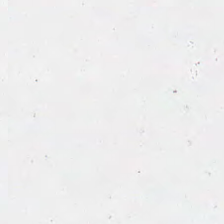H&E-stained tissue section.
Q: What does this patch show?
A: It is empty background.
